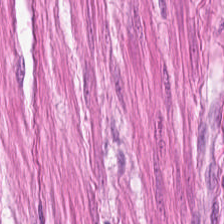20× equivalent magnification. H&E-stained tissue section. Impression — smooth muscle.
